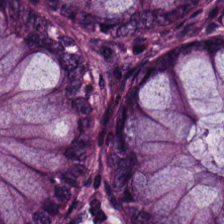Hematoxylin-and-eosin stained section — The classification is normal colon mucosa.
